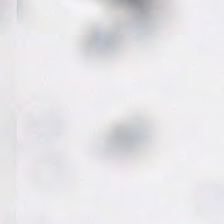Hematoxylin and eosin. Q: What does this patch show?
A: Background.
